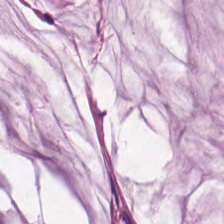H&E stain; whole-slide-image patch; formalin-fixed paraffin-embedded section — Q: Classify this patch.
A: This is mucus.
